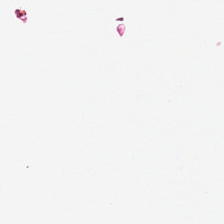224×224 px patch; FFPE tissue section; H&E.
No tissue present; background only.
